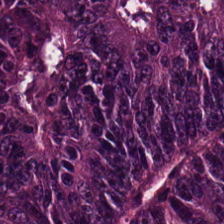H&E-stained tissue section — Q: What type of tissue is this?
A: The field shows malignant epithelium.
